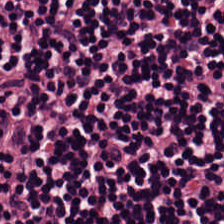Q: What tissue is shown?
A: It is lymphocytic infiltrate.
